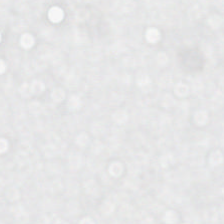No tissue.
